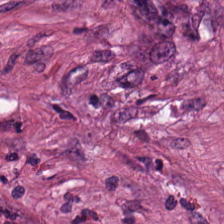Impression → tumor stroma.
